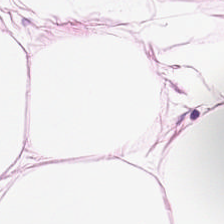Hematoxylin-and-eosin section: adipose.
